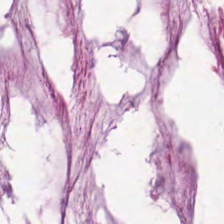224×224 px tile · hematoxylin-and-eosin stained section. This field is extracellular mucin.
